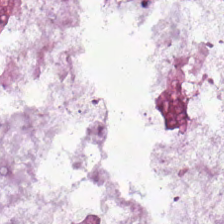H&E · WSI patch.
The tissue here is mucus.
